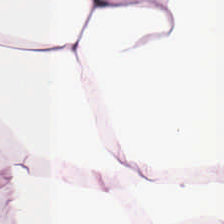H&E-stained tissue section.
Predominant tissue = adipose.
